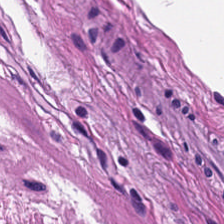224×224 px tile. H&E stain.
This field is muscularis.
